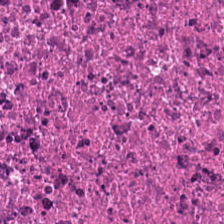Hematoxylin-and-eosin stained section. This patch shows necrotic debris.
